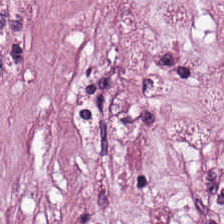H&E stain. Q: What tissue type is shown here?
A: It is cancer-associated stroma.
